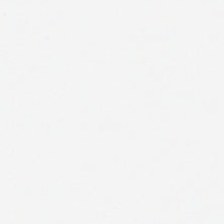{"content": "background"}
